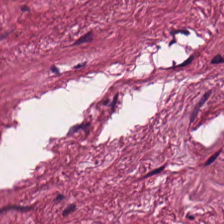Hematoxylin-and-eosin stained section — Finding — tumor stroma.
